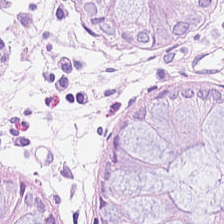Hematoxylin and eosin.
Tissue class = normal colon mucosa.
